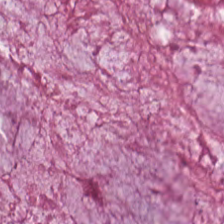H&E stain — This field is mucin.
